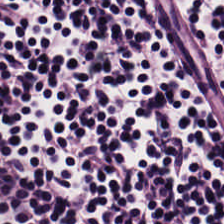Stain: H&E-stained tissue section.
Classification: lymphocytic infiltrate.
